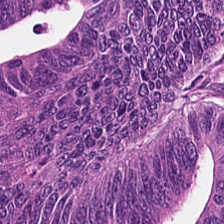H&E.
The tissue here is adenocarcinoma.
